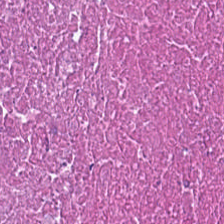FFPE; H&E.
The tissue type is debris.
